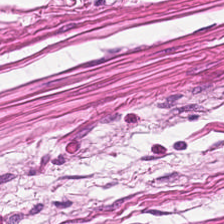H&E stain · 0.5 µm/px — Tissue type — muscularis.
